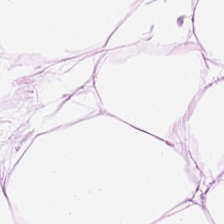Stain: hematoxylin-and-eosin stained section.
Acquisition: brightfield microscopy.
Resolution: 0.5 µm per pixel.
Tissue: adipocytes.
